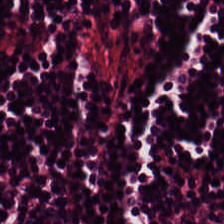Hematoxylin and eosin.
Impression → lymphocytes.
